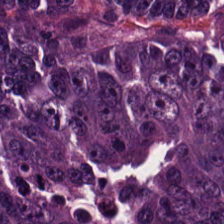H&E.
Showing malignant epithelium.
